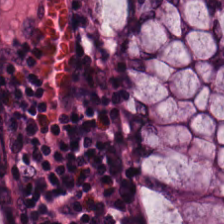0.5 µm per pixel · H&E · WSI patch. Q: What is the predominant tissue type?
A: This is normal colonic mucosa.
